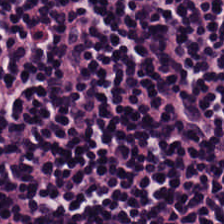Q: Identify the tissue.
A: Lymphoid infiltrate.
